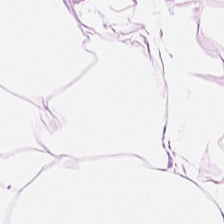The tissue here is adipose.
